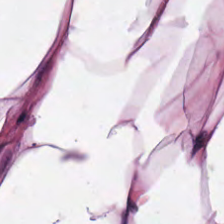H&E-stained tissue section.
The predominant tissue is adipose.
